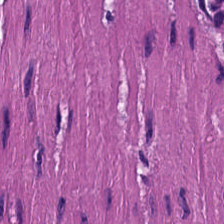224×224 px tile · H&E stain — Smooth muscle.
